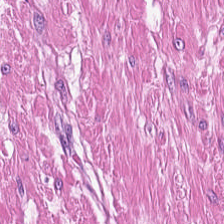The tissue class is smooth muscle.
